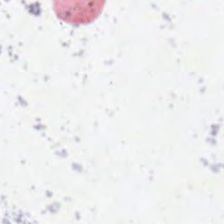Hematoxylin-and-eosin stained section. 0.5 µm per pixel. 224×224 px tile. Q: Classify this patch.
A: This is no tissue.
